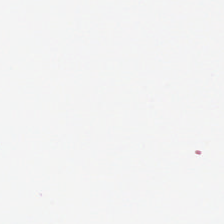H&E-stained tissue section — Content = background (no tissue).
